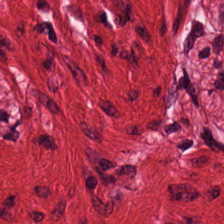Hematoxylin and eosin. Finding → muscularis.
